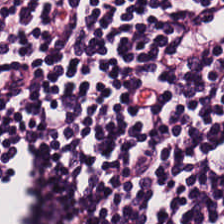H&E — Tissue class: lymphocytic infiltrate.
